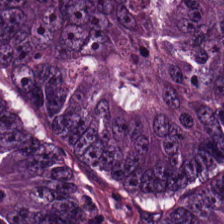Stain: H&E.
Tile size: 224×224 px patch.
Predominant tissue: malignant epithelium.
